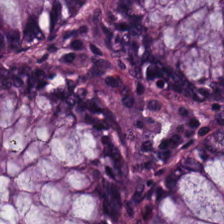Hematoxylin-and-eosin stained section — The predominant tissue is normal colonic mucosa.
